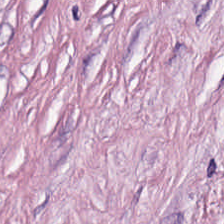Stain: H&E-stained tissue section.
Tissue type: tumor stroma.
